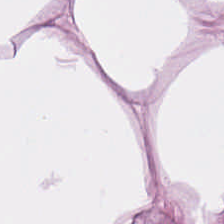224×224 pixel tile. H&E-stained tissue section. The tissue is adipose tissue.
